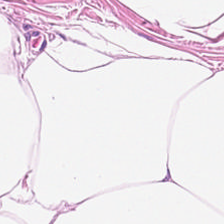Stain: H&E stain.
Acquisition: WSI patch.
Tile size: 224×224 px patch.
Tissue class: fat tissue.
